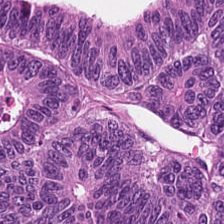The tissue type is tumor epithelium.
